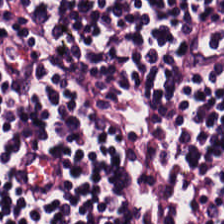Tissue class = lymphocytic infiltrate.
